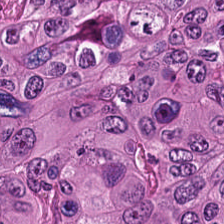WSI patch · hematoxylin and eosin.
Histology → colorectal adenocarcinoma epithelium.
